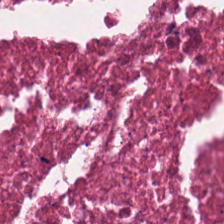0.5 µm/px. H&E-stained tissue section. 224×224 px patch. Histology → cellular debris.
